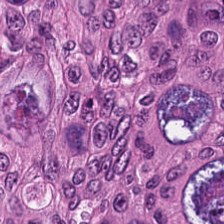Brightfield microscopy. 224×224 px tile. Hematoxylin-and-eosin stained section — Q: What is shown in this field?
A: This is colorectal adenocarcinoma epithelium.
